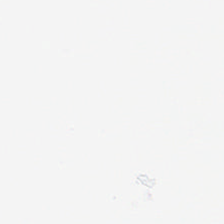Content — background (no tissue).
